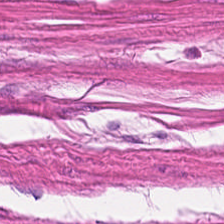The predominant tissue is smooth muscle.
